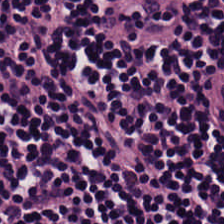224×224 px tile. H&E stain.
Tissue = lymphoid infiltrate.
